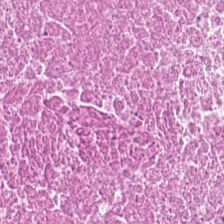224×224 pixel tile. H&E — Histology → debris.
